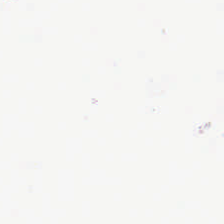Hematoxylin-and-eosin stained section — No tissue present; background only.
